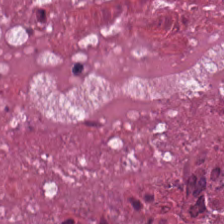H&E.
Predominantly debris.
